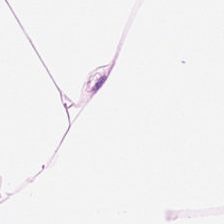Hematoxylin and eosin. Predominantly adipose tissue.
